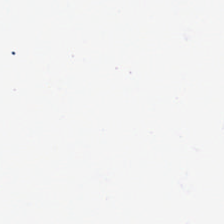Hematoxylin-and-eosin stained section. 224×224 pixel tile. WSI patch — Empty field — background (no tissue).
